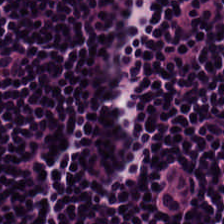Brightfield; hematoxylin-and-eosin stained section.
Finding — lymphocyte aggregate.
